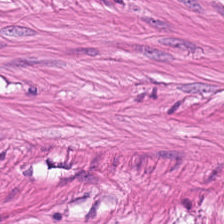Hematoxylin-and-eosin stained section. Q: What does this patch show?
A: It is smooth-muscle tissue.
